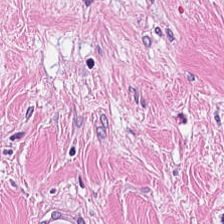Q: What does this patch show?
A: The field shows tumor stroma.
